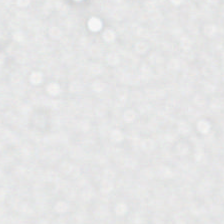H&E stain. No tissue present; background only.
